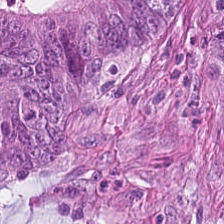FFPE. Hematoxylin-and-eosin stained section.
Q: What type of tissue is this?
A: This is colorectal adenocarcinoma epithelium.
